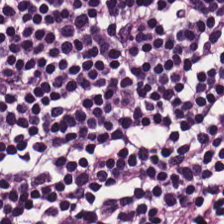Stain: hematoxylin-and-eosin stained section.
Tissue type: lymphocytes.
